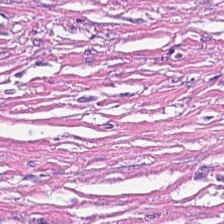H&E-stained tissue section — Predominant tissue — desmoplastic stroma.
